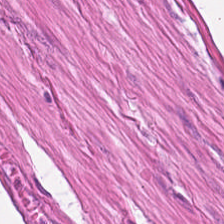Q: What is the predominant tissue type?
A: This is smooth-muscle tissue.
